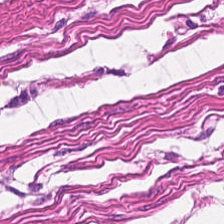Hematoxylin-and-eosin stained section — Classification: smooth-muscle tissue.
